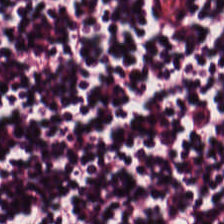Hematoxylin-and-eosin stained section — Lymphocyte aggregate.
